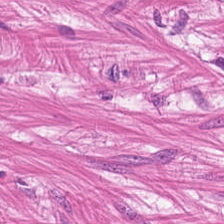Finding — smooth-muscle tissue.
